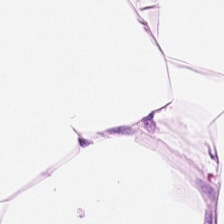This patch shows adipose.
